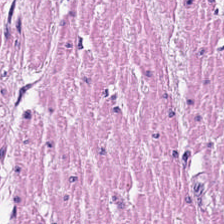H&E patch showing muscularis.
